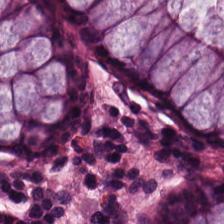Hematoxylin and eosin — Showing non-neoplastic colon mucosa.
